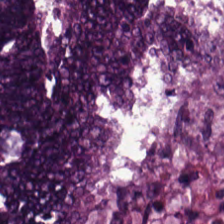Hematoxylin-and-eosin stained section.
Adenocarcinoma.
